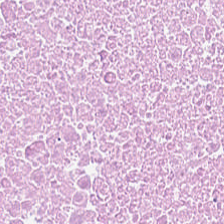FFPE · WSI patch · H&E — {"tissue_type": "cellular debris"}
